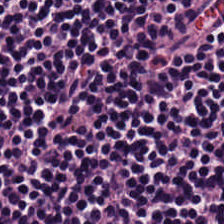0.5 µm per pixel; hematoxylin-and-eosin stained section. The predominant tissue is lymphocytes.
